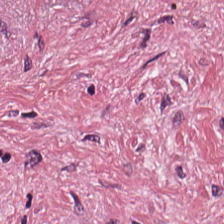The tissue class is cancer-associated stroma.
